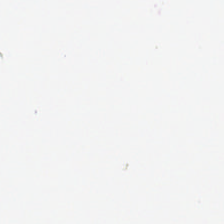H&E-stained tissue section.
This patch shows no tissue.
